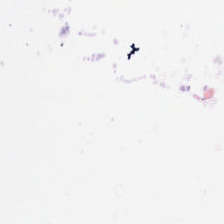H&E-stained tissue section. Empty field — background.
